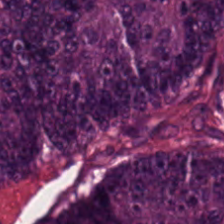Impression → colorectal adenocarcinoma.
